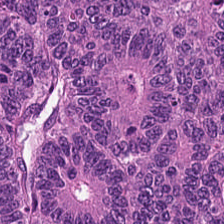H&E-stained tissue section showing adenocarcinoma.
